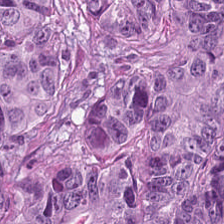H&E stain; FFPE.
The tissue is colorectal adenocarcinoma.
